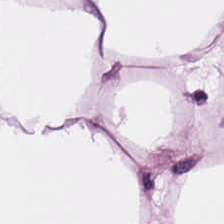FFPE. H&E stain — Tissue class — fat tissue.
